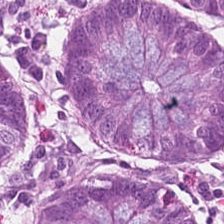H&E; 224×224 pixel tile — The predominant tissue is benign colonic mucosa.
